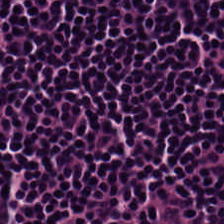H&E stain; FFPE; WSI patch. Q: Identify the tissue.
A: It is lymphocytes.
